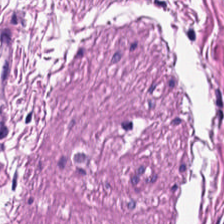Hematoxylin-and-eosin stained section; whole-slide-image patch — The tissue here is smooth muscle.
